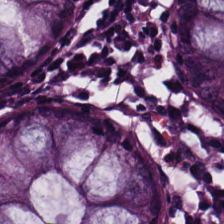H&E — Predominantly normal colon mucosa.
